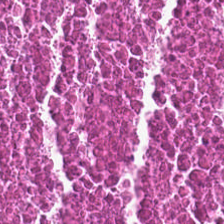Whole-slide-image patch; H&E-stained tissue section.
Q: Identify the tissue.
A: Debris.
